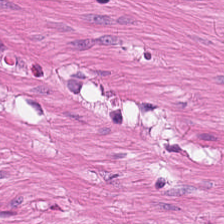H&E stain; 224×224 px tile.
Tissue class: smooth-muscle tissue.
